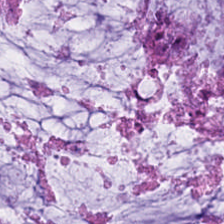Hematoxylin and eosin; 224×224 pixel tile — Mucus.
